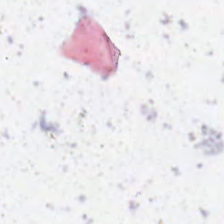224×224 px patch. H&E-stained tissue section. Q: What does this patch show?
A: It is background.
